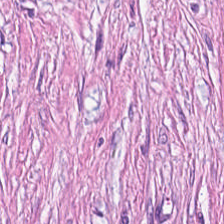Q: What tissue type is shown here?
A: This is tumor stroma.
